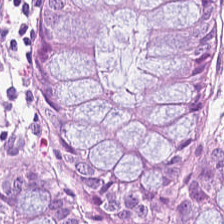H&E stain. The tissue here is normal colonic mucosa.
